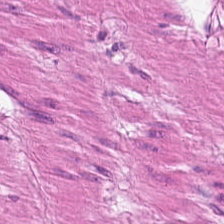H&E stain. Classification = smooth muscle.
